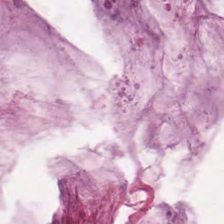H&E stain. Whole-slide-image patch.
Q: What is the predominant tissue type?
A: It is mucin.
